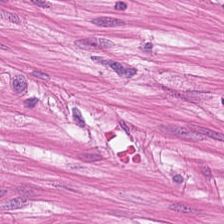Hematoxylin-and-eosin stained section.
Predominantly smooth muscle.
